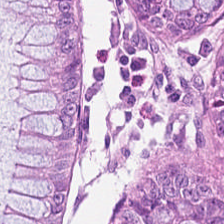H&E-stained tissue section.
Q: Classify this patch.
A: It is normal colon mucosa.
